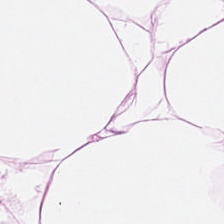H&E-stained tissue section — Predominant tissue: fat tissue.
